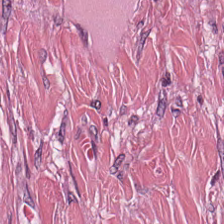H&E stain — Predominantly tumor-associated stroma.
